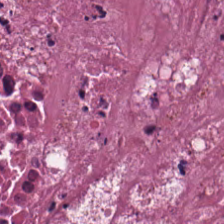Hematoxylin-and-eosin stained section.
This patch shows cellular debris.
